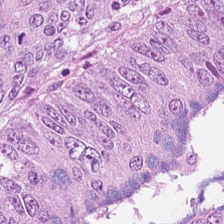H&E stain.
Tissue type = malignant epithelium.
